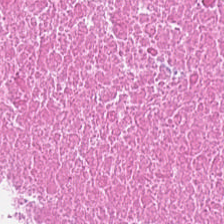Q: What type of tissue is this?
A: It is cellular debris.
